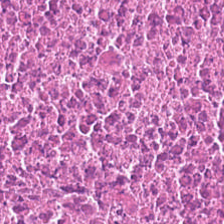H&E.
Histology — necrotic debris.
